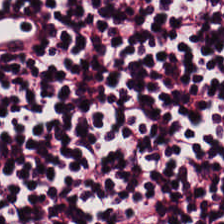H&E; WSI patch; FFPE. Q: What tissue type is shown here?
A: This is lymphocyte aggregate.
